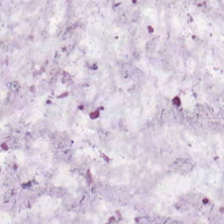H&E stain · whole-slide-image patch. This field is mucin.
